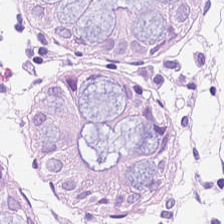224×224 px patch. H&E-stained tissue section. 0.5 µm/px — The classification is normal colonic mucosa.
